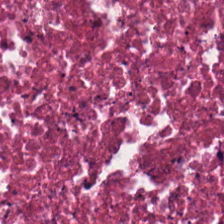0.5 microns per pixel. H&E stain. 224×224 pixel tile — Q: What is shown in this field?
A: It is cellular debris.
